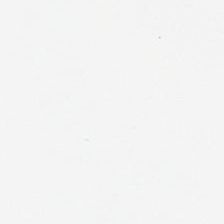Hematoxylin-and-eosin stained section; 224×224 pixel tile; WSI patch.
Q: What does this patch show?
A: The field shows empty background.
